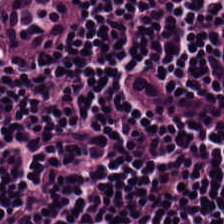Hematoxylin-and-eosin stained section · 0.5 microns per pixel. The predominant tissue is lymphocytes.
